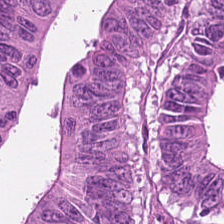Colorectal adenocarcinoma epithelium.
